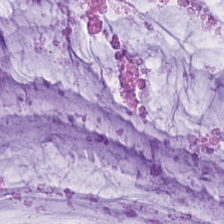Stain: hematoxylin and eosin.
Predominant tissue: extracellular mucin.
